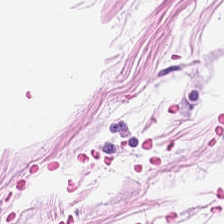H&E-stained tissue section showing adipocytes.
